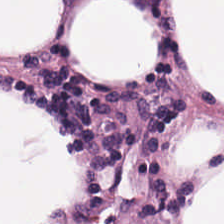The tissue type is adipocytes.
